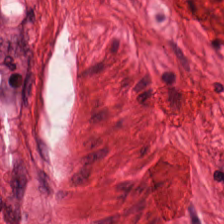Hematoxylin and eosin. This patch shows smooth-muscle tissue.
